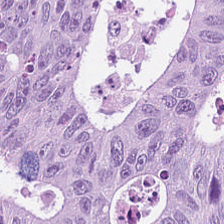H&E stain — Predominant tissue: tumor epithelium.
